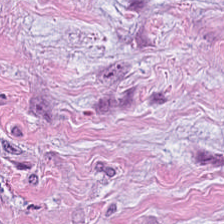H&E-stained tissue section; FFPE; WSI patch. Q: Classify this patch.
A: Tumor-associated stroma.
